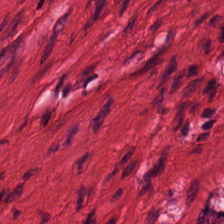Hematoxylin and eosin · 20× equivalent magnification. This patch shows muscularis.
